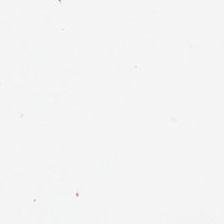Hematoxylin-and-eosin stained section — Field content: no tissue.
